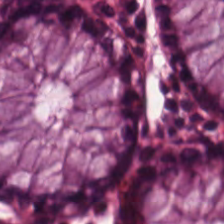Hematoxylin and eosin — The tissue here is non-neoplastic colon mucosa.
